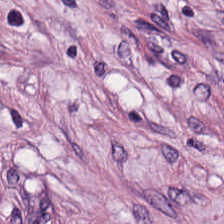H&E stain — Cancer-associated stroma.
